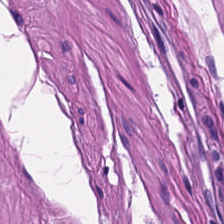H&E stain · 20× equivalent magnification · brightfield. Tissue: smooth muscle.
